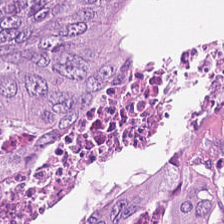FFPE tissue section · hematoxylin-and-eosin stained section.
Predominant tissue — adenocarcinoma.
